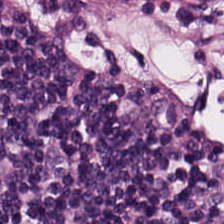20× equivalent magnification. Hematoxylin and eosin. Predominantly lymphoid infiltrate.
